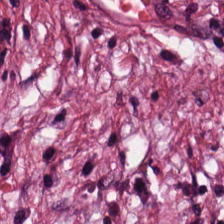Stain: hematoxylin and eosin.
Tissue class: cancer-associated stroma.
